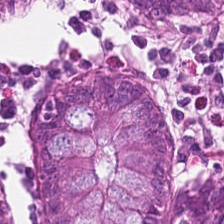Predominant tissue — normal colonic mucosa.
